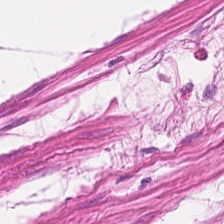Stain: H&E-stained tissue section.
Acquisition: whole-slide-image patch.
Preparation: FFPE tissue section.
Tissue type: smooth muscle.
